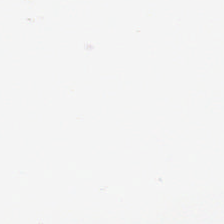H&E-stained tissue section; FFPE.
Classification: empty background.
